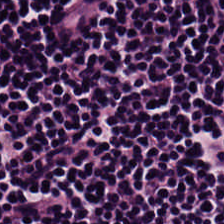0.5 microns per pixel. H&E stain — Classification: lymphocytic infiltrate.
